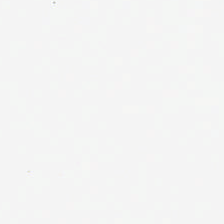H&E stain.
Classification — no tissue.
